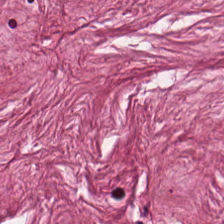H&E. FFPE tissue section.
Histology → cancer-associated stroma.
